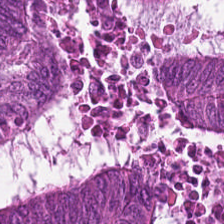Hematoxylin-and-eosin section: adenocarcinoma.
